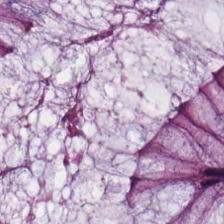H&E.
Predominant tissue — benign colonic mucosa.
